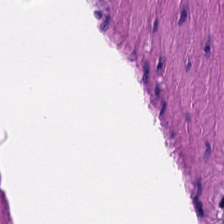224×224 pixel tile · FFPE · H&E stain.
This field is smooth-muscle tissue.
